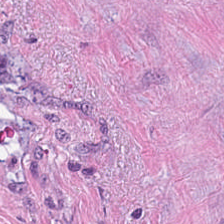0.5 µm per pixel · 224×224 px patch · hematoxylin and eosin — Tissue type — tumor stroma.
